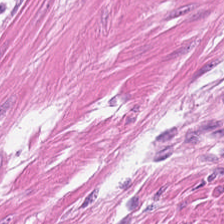Formalin-fixed paraffin-embedded section. H&E.
Histology → smooth-muscle tissue.
